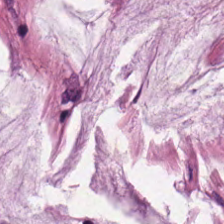H&E stain — {"tissue_type": "mucus"}
